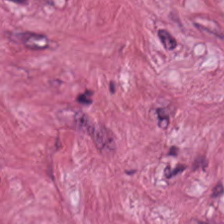Stain: H&E.
Predominant tissue: tumor-associated stroma.
